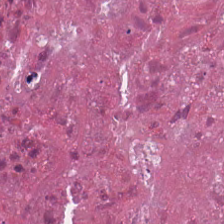H&E patch showing cellular debris.
